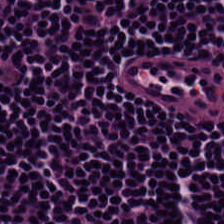224×224 px patch. H&E. Showing lymphocyte aggregate.
